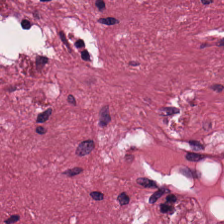224×224 px tile · H&E · FFPE tissue section. Q: What tissue type is shown here?
A: This is desmoplastic stroma.
